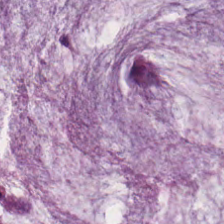H&E-stained tissue section · FFPE tissue section — The tissue here is extracellular mucin.
